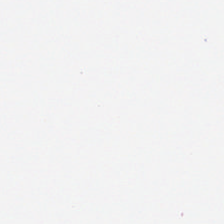Hematoxylin-and-eosin stained section. Q: What is shown in this field?
A: This is background (no tissue).
